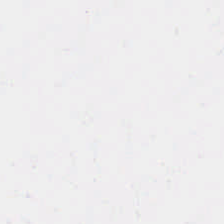Hematoxylin-and-eosin stained section · formalin-fixed paraffin-embedded section · WSI patch — Finding → background.
